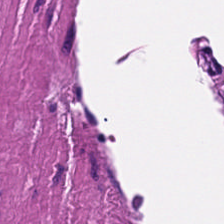Formalin-fixed paraffin-embedded section · hematoxylin and eosin · 224×224 px tile — The tissue class is muscularis.
